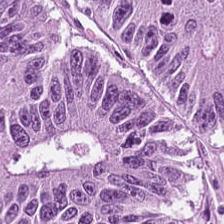H&E stain. The classification is tumor epithelium.
